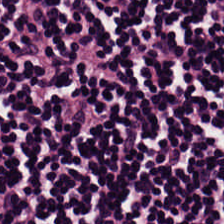Histology — lymphocytes.
